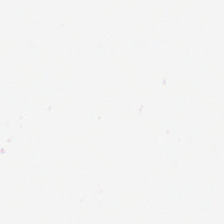Stain: H&E.
Preparation: FFPE tissue section.
Classification: background (no tissue).
